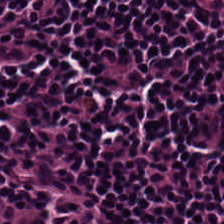Impression → lymphocyte aggregate.
